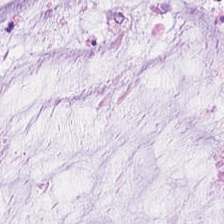Mucin.
